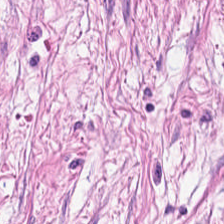Hematoxylin-and-eosin stained section. This patch shows tumor stroma.
